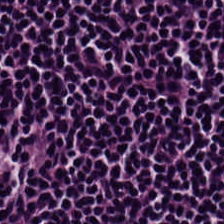H&E stain; 0.5 µm/px — Q: What tissue is shown?
A: The field shows lymphocytic infiltrate.
